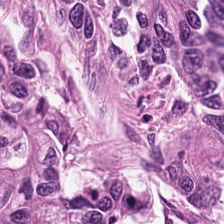Hematoxylin-and-eosin stained section. {"tissue_type": "adenocarcinoma"}
